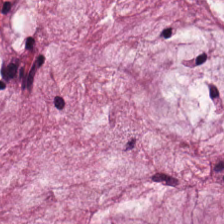Hematoxylin and eosin. 224×224 pixel tile.
Extracellular mucin.
